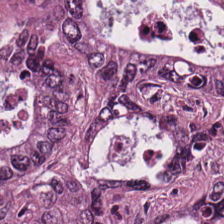H&E stain; 0.5 microns per pixel. Colorectal adenocarcinoma epithelium.
